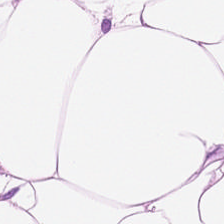H&E. Classification = adipose tissue.
